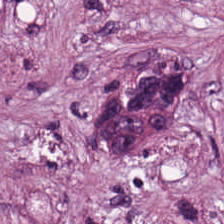0.5 µm/px. H&E stain. Whole-slide-image patch. The predominant tissue is cancer-associated stroma.
